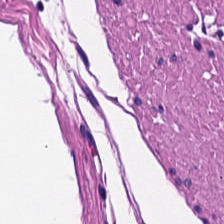H&E stain. Showing smooth-muscle tissue.
